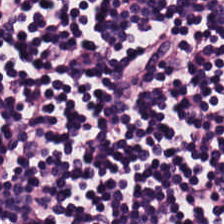H&E. WSI patch. The tissue here is lymphocyte aggregate.
